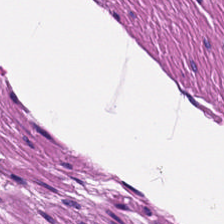The predominant tissue is muscularis.
